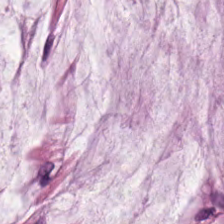WSI patch · H&E — The tissue is mucin.
